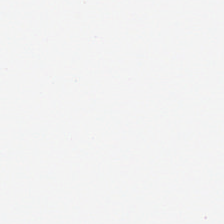Hematoxylin and eosin. This patch shows empty background.
